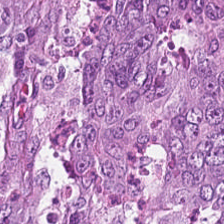H&E. 20× equivalent magnification. Tissue type — tumor epithelium.
